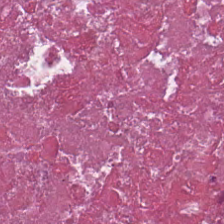Classification = necrotic debris.
